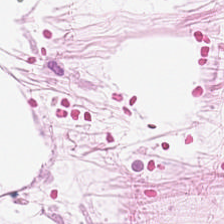H&E-stained tissue section · FFPE. Q: What tissue is shown?
A: The field shows adipocytes.
